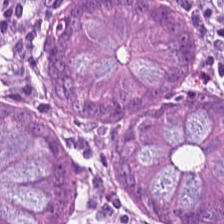H&E-stained tissue section · FFPE · 0.5 µm per pixel.
Impression → normal colon mucosa.
